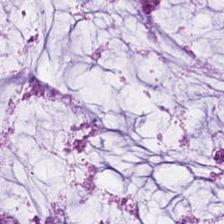224×224 px tile · FFPE · hematoxylin and eosin. Showing extracellular mucin.
